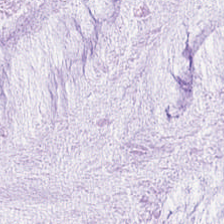Hematoxylin-and-eosin stained section. 224×224 px tile. Mucus.
